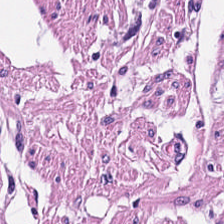0.5 microns per pixel · brightfield microscopy · hematoxylin-and-eosin stained section.
Tissue = smooth-muscle tissue.
